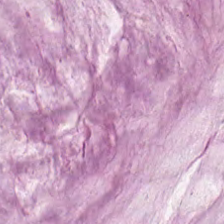Histology — mucin.
